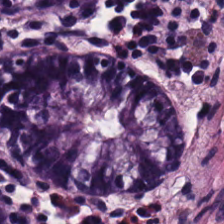Formalin-fixed paraffin-embedded section; hematoxylin and eosin — Q: What is shown in this field?
A: Non-neoplastic colon mucosa.
